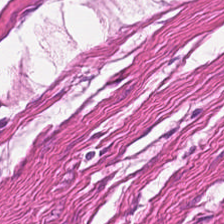H&E-stained tissue section. The tissue here is muscularis.
